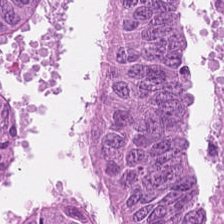The tissue is colorectal adenocarcinoma epithelium.
